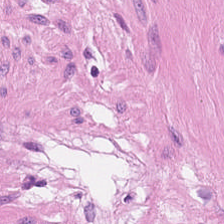Stain: hematoxylin-and-eosin stained section.
Classification: smooth-muscle tissue.
